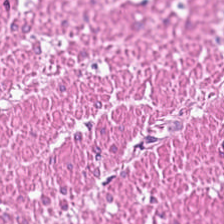H&E — Smooth muscle.
